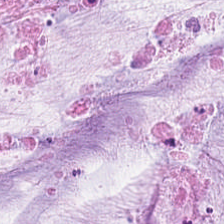Q: What tissue is shown?
A: The field shows mucin.
